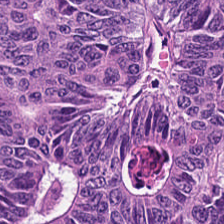Stain: hematoxylin-and-eosin stained section.
Tissue type: colorectal adenocarcinoma epithelium.
